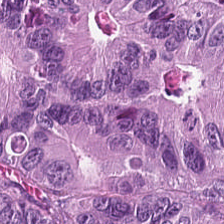Hematoxylin-and-eosin stained section. Histology — colorectal adenocarcinoma epithelium.
